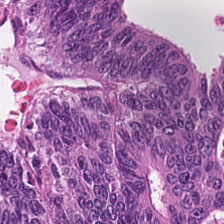This field is colorectal adenocarcinoma epithelium.
